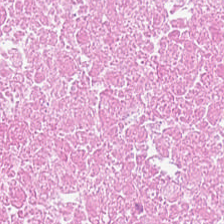224×224 pixel tile · H&E-stained tissue section · formalin-fixed paraffin-embedded section. Q: Classify this patch.
A: Necrotic debris.
